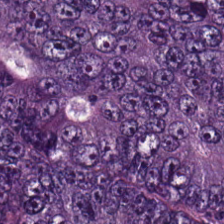Hematoxylin-and-eosin stained section. The tissue class is malignant epithelium.
